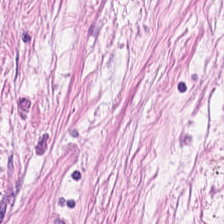0.5 microns per pixel; H&E.
Showing tumor stroma.
